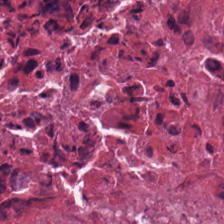H&E stain — The tissue here is debris.
